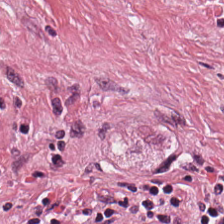0.5 microns per pixel. Hematoxylin-and-eosin stained section. Classification — tumor-associated stroma.
